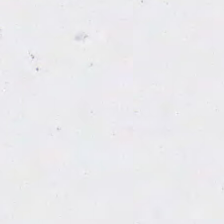Formalin-fixed paraffin-embedded section; H&E; 0.5 µm/px. Content: no tissue.
